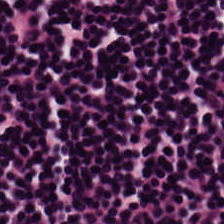Hematoxylin-and-eosin stained section. Brightfield — Finding → lymphoid infiltrate.
